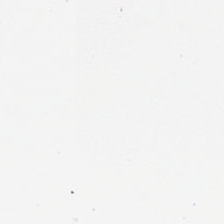Stain: H&E-stained tissue section.
Tile size: 224×224 px tile.
Resolution: 0.5 microns per pixel.
Field content: background (no tissue).
